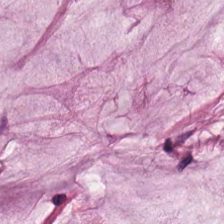Hematoxylin-and-eosin stained section · FFPE tissue section — Predominantly mucin.
